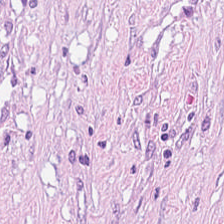H&E-stained tissue section.
This patch shows desmoplastic stroma.
